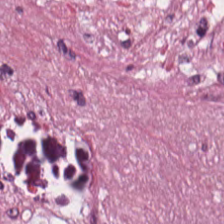H&E · 0.5 microns per pixel. The predominant tissue is tumor stroma.
